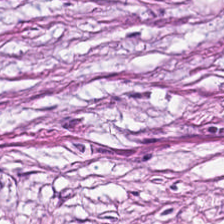Hematoxylin-and-eosin stained section.
{"tissue_type": "tumor stroma"}
